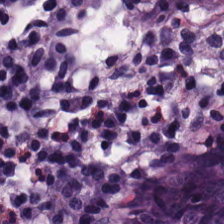Finding — benign colonic mucosa.
